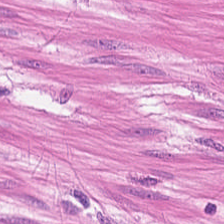Finding → smooth-muscle tissue.
